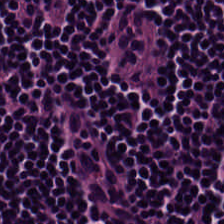Hematoxylin and eosin — Tissue class = lymphocyte aggregate.
